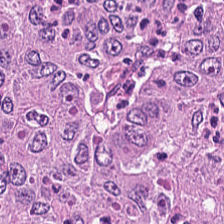Hematoxylin and eosin.
Histology — colorectal adenocarcinoma epithelium.
